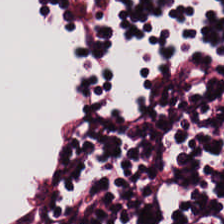H&E. Tissue class = lymphocytes.
